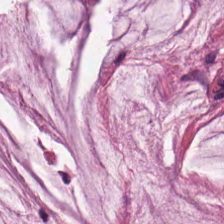Stain: hematoxylin and eosin.
Predominant tissue: extracellular mucin.
